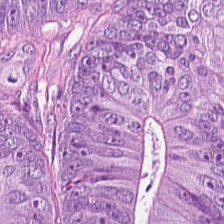Malignant epithelium.
